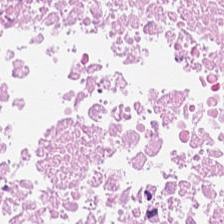H&E. Tissue = necrotic debris.
